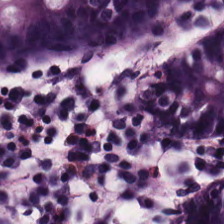Stain: H&E stain.
Tissue: non-neoplastic colon mucosa.
